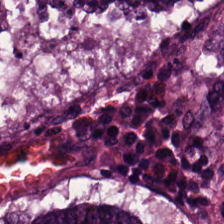Finding — malignant epithelium.
